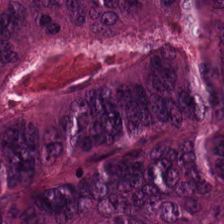Classification: malignant epithelium.
